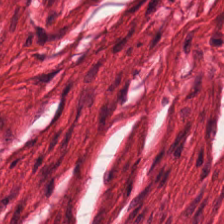Stain: hematoxylin-and-eosin stained section.
Tile size: 224×224 pixel tile.
Classification: muscularis.
